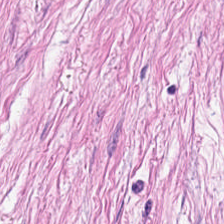H&E stain. 20× equivalent magnification. 224×224 px patch — Predominant tissue = desmoplastic stroma.
